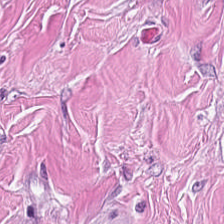0.5 µm per pixel · hematoxylin and eosin · WSI patch. {"tissue_type": "tumor-associated stroma"}
